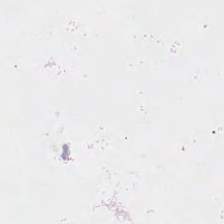Hematoxylin-and-eosin stained section; 0.5 µm per pixel; FFPE. Empty field — background.
